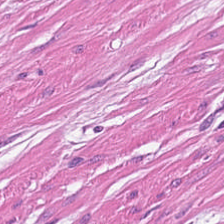H&E stain; brightfield microscopy — This patch shows smooth muscle.
